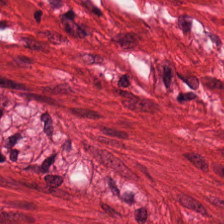Stain: hematoxylin and eosin.
Tissue type: smooth-muscle tissue.
